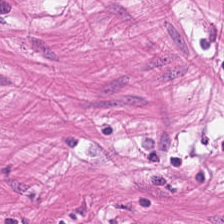H&E. Q: What tissue is shown?
A: Muscularis.
